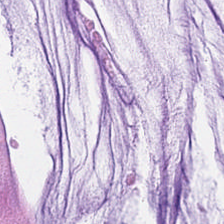H&E; FFPE.
Q: What type of tissue is this?
A: This is mucus.
